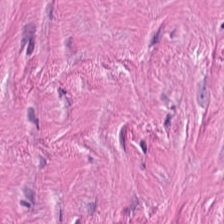20× equivalent magnification; hematoxylin-and-eosin stained section — Predominantly tumor-associated stroma.
